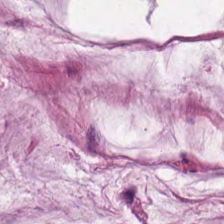Formalin-fixed paraffin-embedded section · H&E-stained tissue section. This field is extracellular mucin.
